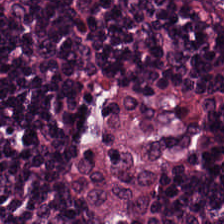Tissue class — lymphocyte aggregate.
